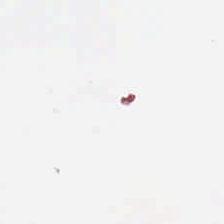Field content — empty background.
